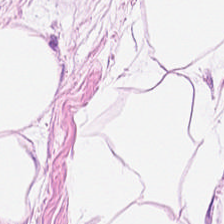Stain: hematoxylin-and-eosin stained section.
Acquisition: brightfield microscopy.
Preparation: FFPE tissue section.
Tissue type: adipose.
